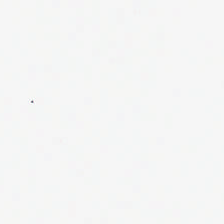Q: Classify this patch.
A: It is empty background.
